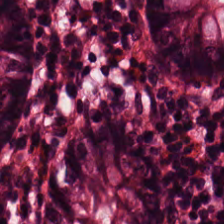H&E stain.
Q: What is the predominant tissue type?
A: It is normal colon mucosa.
